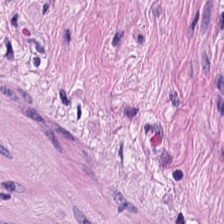H&E-stained section; the field shows smooth-muscle tissue.
